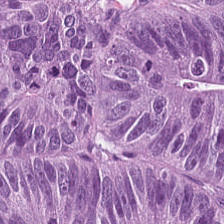Hematoxylin and eosin — Impression — colorectal adenocarcinoma epithelium.
